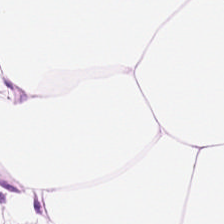Stain: H&E stain.
Classification: adipose.
